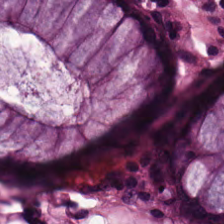Stain: hematoxylin and eosin.
Tile size: 224×224 px tile.
Preparation: FFPE.
Predominant tissue: benign colonic mucosa.
